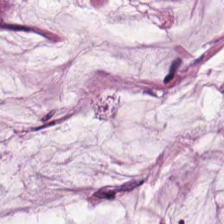Formalin-fixed paraffin-embedded section · H&E-stained tissue section. The tissue here is mucin.
